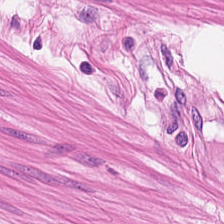H&E-stained tissue section. Predominantly smooth-muscle tissue.
